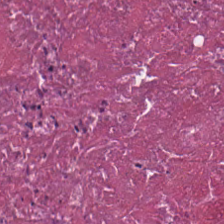H&E-stained tissue section — Cellular debris.
